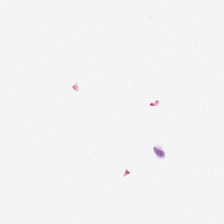Stain: hematoxylin-and-eosin stained section.
Acquisition: WSI patch.
Resolution: 0.5 µm/px.
Content: no tissue.
